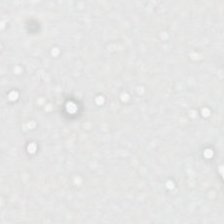H&E; 224×224 px tile.
Q: Classify this patch.
A: This is background.
